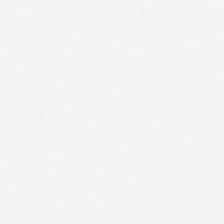H&E-stained tissue section. Content = no tissue.
